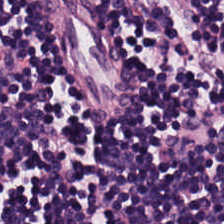224×224 pixel tile; H&E-stained tissue section.
Tissue type — lymphoid infiltrate.
